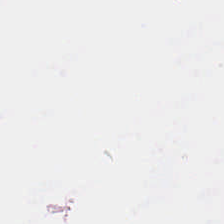H&E · 224×224 px patch.
Background (no tissue).
